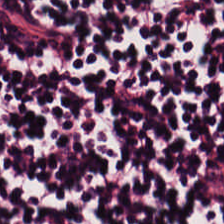Hematoxylin and eosin. Tissue — lymphocyte aggregate.
